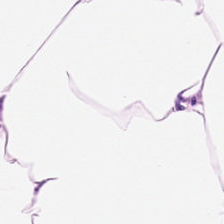0.5 microns per pixel; formalin-fixed paraffin-embedded section; H&E. Finding → adipocytes.
